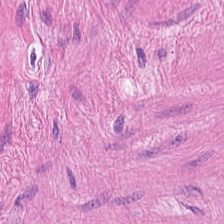Showing smooth muscle.
